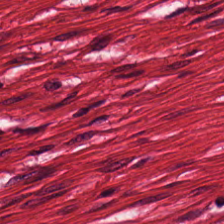FFPE. H&E-stained tissue section — Predominant tissue = muscularis.
